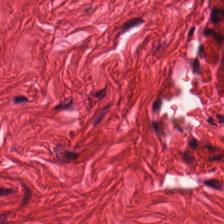20× equivalent magnification. Whole-slide-image patch. H&E. This patch shows smooth-muscle tissue.
